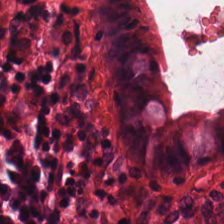H&E; 224×224 pixel tile. The predominant tissue is benign colonic mucosa.
